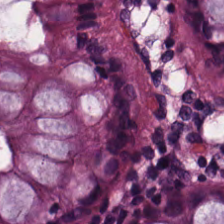H&E-stained tissue section. Finding → normal colonic mucosa.
